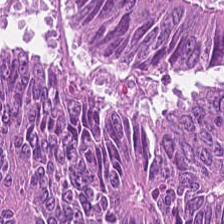Stain: H&E-stained tissue section.
Tile size: 224×224 px patch.
Resolution: 0.5 µm per pixel.
Classification: colorectal adenocarcinoma epithelium.
